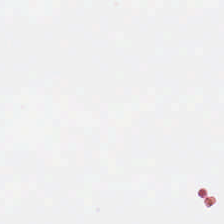0.5 µm/px; hematoxylin-and-eosin stained section — Finding → background (no tissue).
